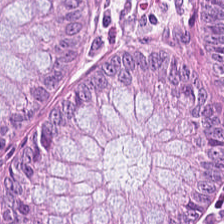Hematoxylin and eosin.
Predominant tissue — non-neoplastic colon mucosa.
